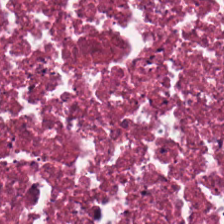Stain: hematoxylin-and-eosin stained section.
Acquisition: brightfield.
Predominant tissue: debris.
